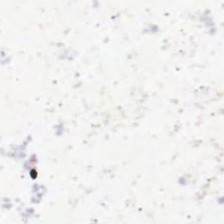Hematoxylin and eosin; 224×224 pixel tile — Q: What does this patch show?
A: It is background.
